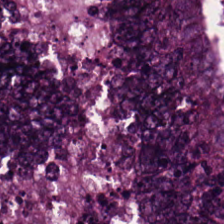Stain: hematoxylin-and-eosin stained section.
Tissue: adenocarcinoma.
